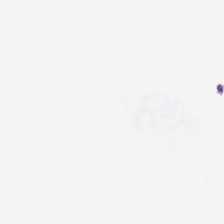H&E; 0.5 µm per pixel. Q: Classify this patch.
A: The field shows background.
